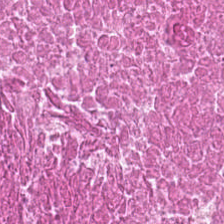H&E stain. WSI patch. Q: What tissue is shown?
A: The field shows debris.
